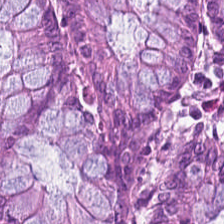Brightfield microscopy · H&E · 0.5 µm per pixel. Q: What is the predominant tissue type?
A: This is normal colon mucosa.
